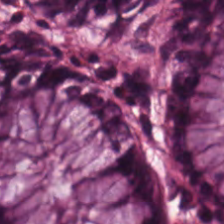H&E-stained tissue section.
Normal colonic mucosa.
